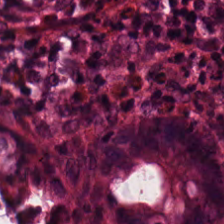WSI patch. H&E-stained tissue section.
Predominantly normal colon mucosa.
